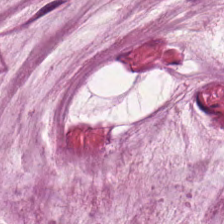H&E stain. FFPE tissue section. Predominantly extracellular mucin.
